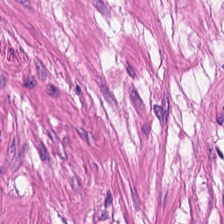Stain: hematoxylin-and-eosin stained section.
Tissue type: muscularis.
